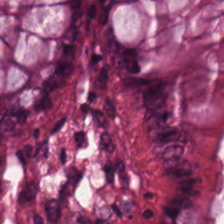Q: What does this patch show?
A: The field shows normal colonic mucosa.
